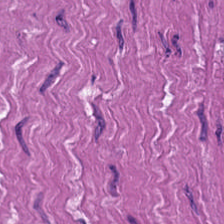H&E — smooth muscle.
